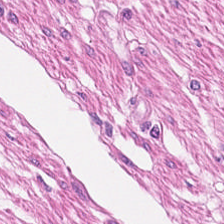The predominant tissue is smooth muscle.
